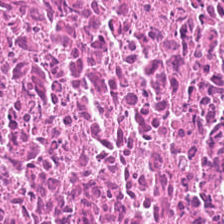H&E stain — The tissue is cellular debris.
